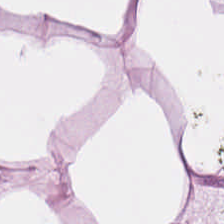FFPE tissue section · H&E stain · brightfield — Q: What is the predominant tissue type?
A: This is fat tissue.
